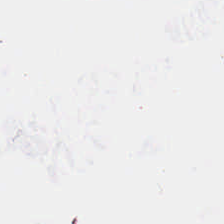H&E; brightfield — Content — no tissue.
